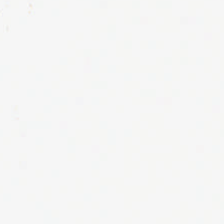Hematoxylin and eosin — Empty field — no tissue.
